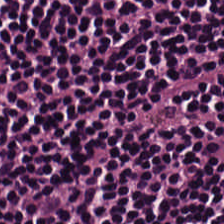224×224 px patch; H&E.
Showing lymphocytes.
